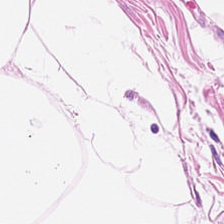Stain: H&E.
Classification: adipose.
